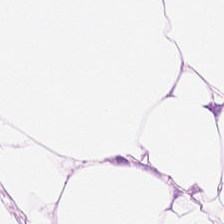H&E stain. Histology — adipose.
